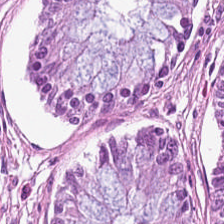H&E-stained tissue section showing normal colonic mucosa.
